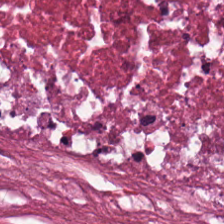224×224 px tile; H&E stain — Q: What does this patch show?
A: This is cellular debris.
